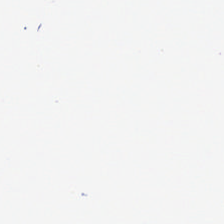Q: Classify this patch.
A: Empty background.
